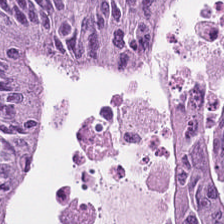Stain: hematoxylin-and-eosin stained section.
Tissue type: colorectal adenocarcinoma epithelium.
